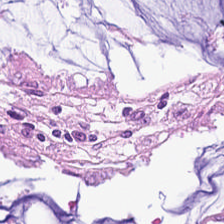WSI patch; H&E.
Benign colonic mucosa.
